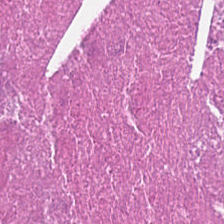224×224 px patch · 0.5 µm/px · H&E-stained tissue section.
Q: What is shown here?
A: Necrotic debris.
